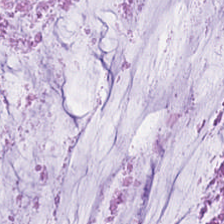The classification is mucin.
